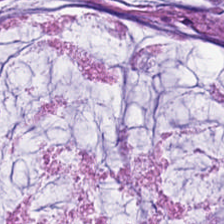Hematoxylin and eosin. Tissue: mucin.
